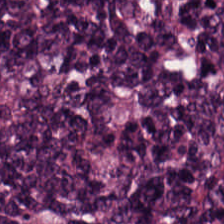Hematoxylin-and-eosin stained section — This field is lymphoid infiltrate.
